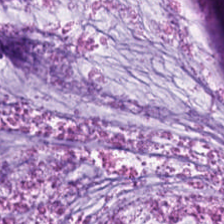H&E stain. {"tissue_type": "extracellular mucin"}
